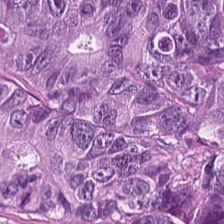Brightfield · hematoxylin-and-eosin stained section · 20× equivalent magnification. Impression — tumor epithelium.
